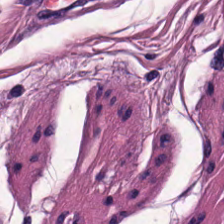H&E stain. {"tissue_type": "muscularis"}
